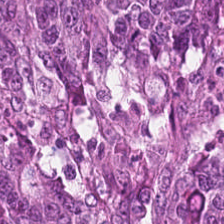H&E-stained tissue section.
Showing malignant epithelium.
